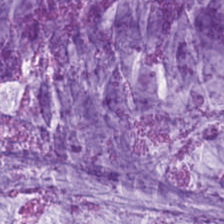H&E-stained tissue section — Tissue type — extracellular mucin.
